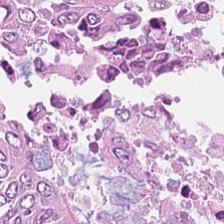20× equivalent magnification; H&E stain — This field is malignant epithelium.
